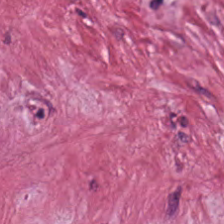Hematoxylin-and-eosin stained section.
Q: What is the predominant tissue type?
A: This is cancer-associated stroma.
